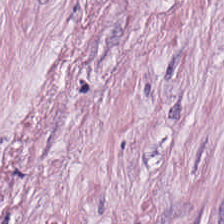Whole-slide-image patch. Formalin-fixed paraffin-embedded section. Hematoxylin-and-eosin stained section. The classification is tumor stroma.
